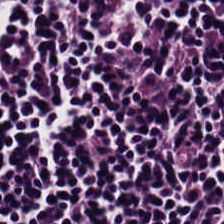Hematoxylin and eosin.
Lymphocytic infiltrate.
